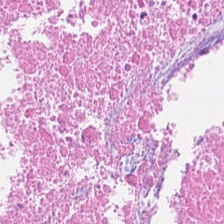Hematoxylin-and-eosin stained section. Tissue — necrotic debris.
